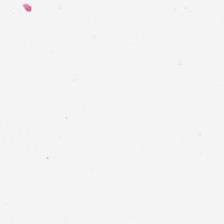The content is no tissue.
